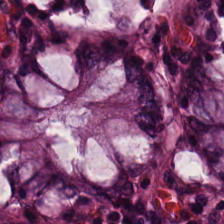Hematoxylin and eosin — The tissue here is non-neoplastic colon mucosa.
